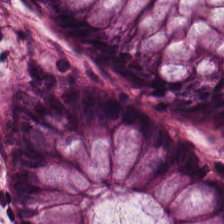Stain: H&E.
Tissue class: normal colon mucosa.
